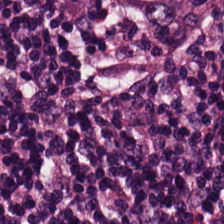Stain: hematoxylin-and-eosin stained section.
Classification: lymphoid infiltrate.
